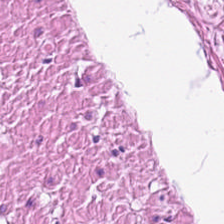The tissue type is smooth-muscle tissue.
